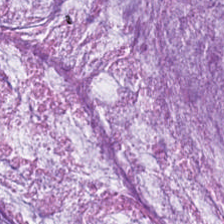0.5 µm per pixel · formalin-fixed paraffin-embedded section · hematoxylin and eosin — The tissue class is mucin.
